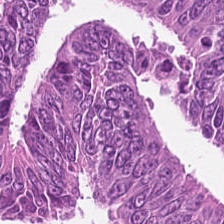Hematoxylin and eosin.
{"tissue_type": "adenocarcinoma"}
